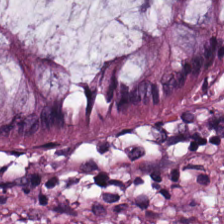Formalin-fixed paraffin-embedded section; H&E.
Q: What does this patch show?
A: The field shows benign colonic mucosa.
